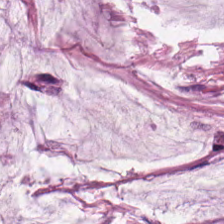Q: What is shown here?
A: This is mucin.
